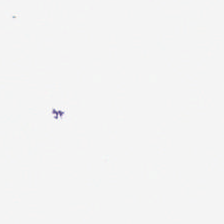Stain: H&E.
Acquisition: whole-slide-image patch.
Tile size: 224×224 pixel tile.
Classification: no tissue.
